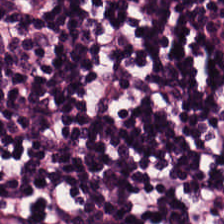Lymphoid infiltrate.
